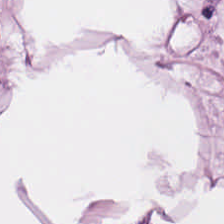H&E — The tissue is adipose tissue.
